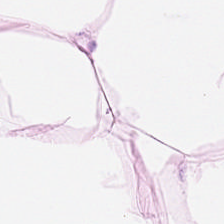H&E-stained tissue section. Showing adipocytes.
